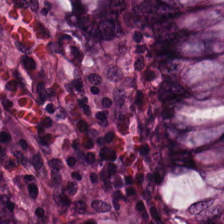224×224 pixel tile. H&E stain.
Finding — non-neoplastic colon mucosa.
